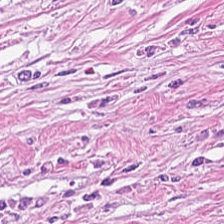Tissue class: desmoplastic stroma.
